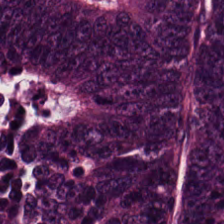Formalin-fixed paraffin-embedded section · 224×224 px patch · H&E — Showing tumor epithelium.
